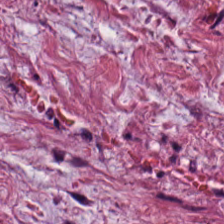224×224 px tile; hematoxylin and eosin.
Desmoplastic stroma.
